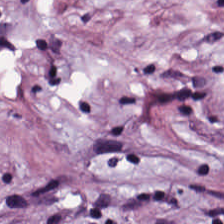H&E · FFPE.
Histology → tumor stroma.
